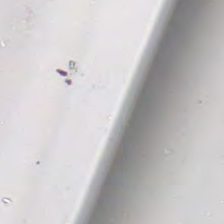Stain: H&E-stained tissue section.
Acquisition: WSI patch.
Field content: empty background.
